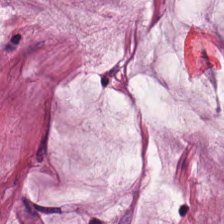H&E stain. Predominant tissue — mucin.
